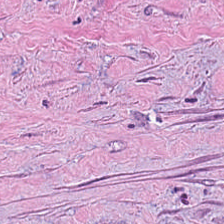20× equivalent magnification · FFPE · H&E-stained tissue section.
This patch shows desmoplastic stroma.
